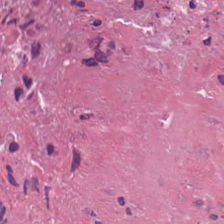Stain: H&E.
Resolution: 0.5 µm per pixel.
Tissue: necrotic debris.
